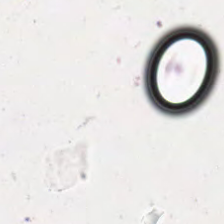This field is background (no tissue).
